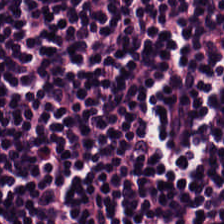H&E stain. Lymphoid infiltrate.
